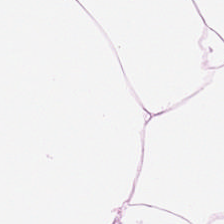Tissue type: adipose.
